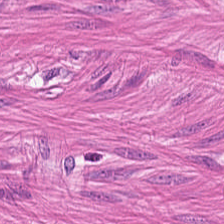Hematoxylin and eosin; 224×224 px patch.
Tissue — muscularis.
